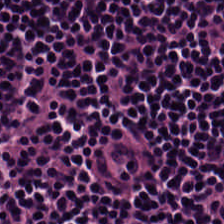Stain: H&E stain.
Resolution: 0.5 µm/px.
Tissue class: lymphocytic infiltrate.
